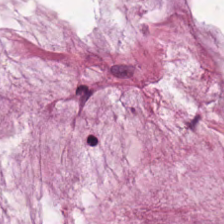Formalin-fixed paraffin-embedded section; hematoxylin-and-eosin stained section.
Tissue — mucin.
